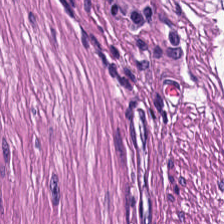Hematoxylin and eosin. Q: What tissue is shown?
A: Smooth-muscle tissue.
